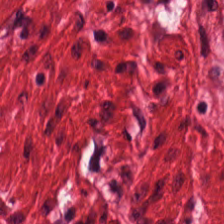H&E-stained tissue section · 224×224 pixel tile — Histology → muscularis.
